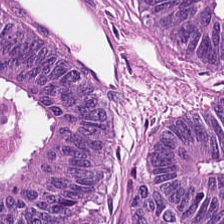H&E; 224×224 px patch.
The tissue here is colorectal adenocarcinoma epithelium.
